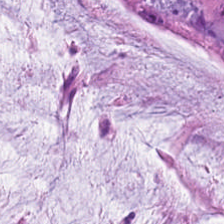H&E stain.
This patch shows mucin.
